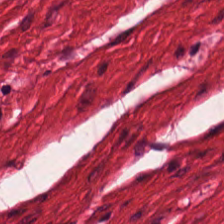Predominantly smooth-muscle tissue.
